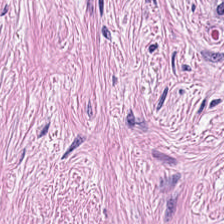H&E — This field is cancer-associated stroma.
